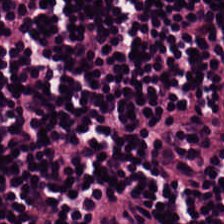H&E-stained tissue section.
Tissue = lymphoid infiltrate.
